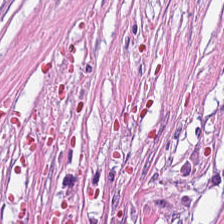Predominant tissue: cancer-associated stroma.
